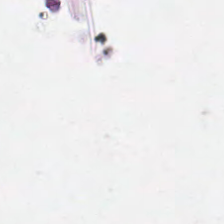Stain: hematoxylin-and-eosin stained section.
Classification: background (no tissue).
